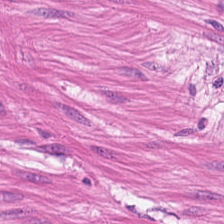Showing muscularis.
